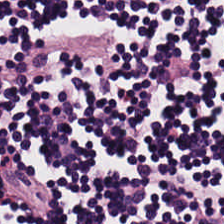H&E — Predominant tissue: lymphocytes.
